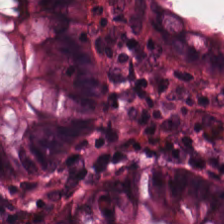Hematoxylin and eosin.
Predominant tissue — normal colon mucosa.
